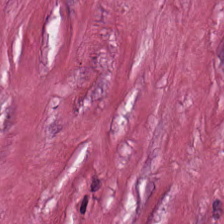The tissue type is tumor stroma.
